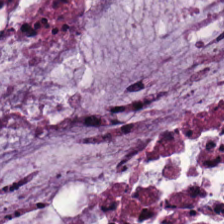H&E patch showing extracellular mucin.
